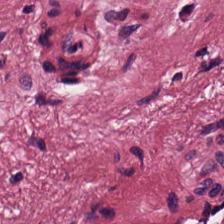H&E. Classification: tumor stroma.
